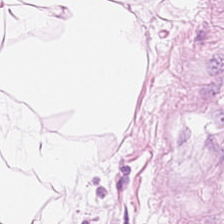Stain: hematoxylin-and-eosin stained section.
Tissue type: adipocytes.
